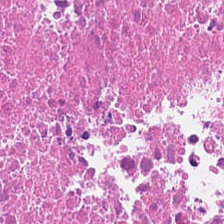Stain: H&E.
Resolution: 0.5 microns per pixel.
Tissue class: cellular debris.
